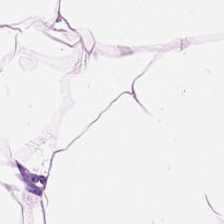224×224 px tile · FFPE tissue section · hematoxylin-and-eosin stained section.
This patch shows fat tissue.
